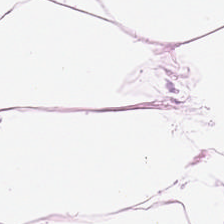Hematoxylin and eosin — This patch shows adipose.
